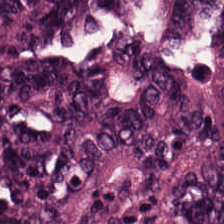H&E-stained tissue section. The tissue here is malignant epithelium.
